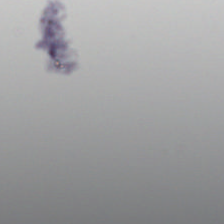Q: Classify this patch.
A: Background (no tissue).
